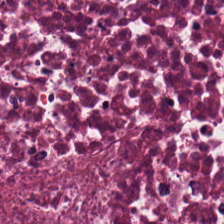H&E · formalin-fixed paraffin-embedded section.
Q: What is shown here?
A: Cellular debris.
